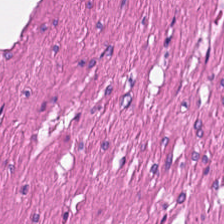Hematoxylin and eosin · FFPE. Classification = smooth muscle.
